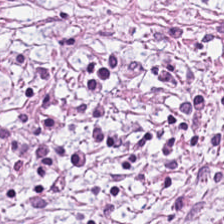H&E-stained tissue section; brightfield microscopy. The tissue here is cancer-associated stroma.
